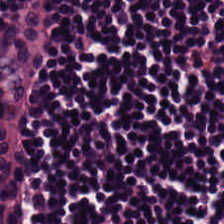H&E. Lymphocytic infiltrate.
